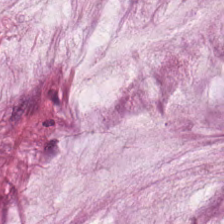224×224 pixel tile; H&E; whole-slide-image patch. Q: What is the predominant tissue type?
A: Mucus.
